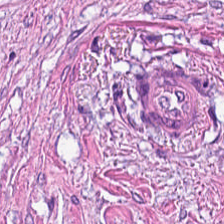H&E patch showing tumor stroma.
